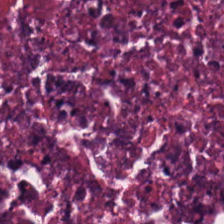Stain: H&E.
Resolution: 0.5 µm/px.
Tissue: debris.
